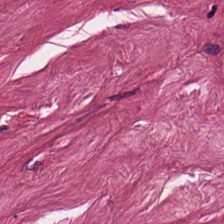H&E stain. Brightfield. Showing desmoplastic stroma.
